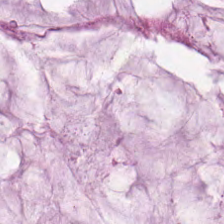Hematoxylin and eosin. FFPE tissue section. Q: What is the predominant tissue type?
A: Extracellular mucin.
